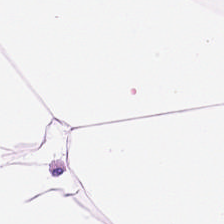Hematoxylin and eosin. The predominant tissue is adipose.
